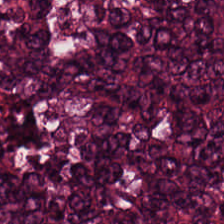H&E-stained tissue section. Q: What is shown here?
A: It is colorectal adenocarcinoma epithelium.
